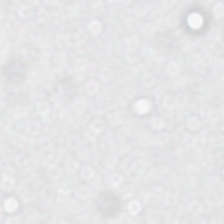Impression — empty background.
